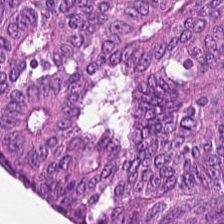{"tissue_type": "colorectal adenocarcinoma"}
